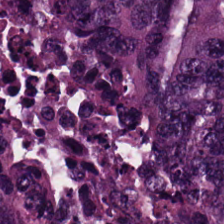Stain: H&E stain.
Tissue: adenocarcinoma.
